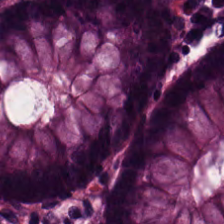Stain: hematoxylin-and-eosin stained section.
Tissue type: non-neoplastic colon mucosa.
